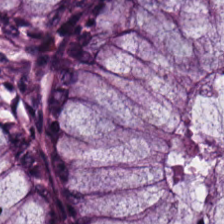H&E stain — Non-neoplastic colon mucosa.
